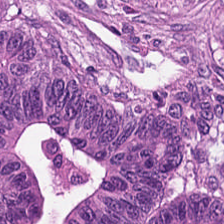Stain: H&E.
Predominant tissue: colorectal adenocarcinoma epithelium.
